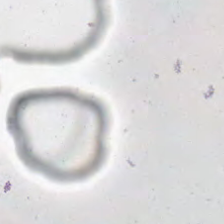FFPE; whole-slide-image patch; H&E-stained tissue section.
No tissue.
